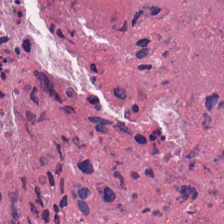224×224 px tile. Hematoxylin-and-eosin stained section — Impression → cellular debris.
